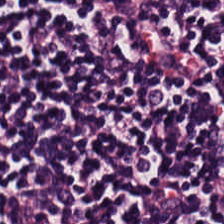H&E-stained section; the field shows lymphocyte aggregate.
